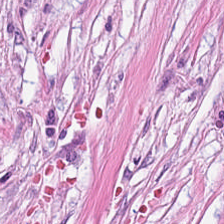Tissue = cancer-associated stroma.
